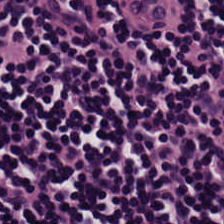The classification is lymphoid infiltrate.
